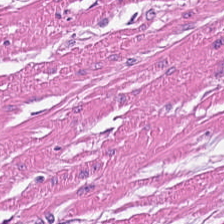Stain: hematoxylin and eosin.
Tile size: 224×224 pixel tile.
Tissue type: muscularis.
